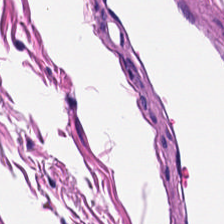H&E stain — This field is muscularis.
